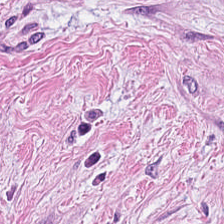H&E-stained tissue section · 20× equivalent magnification — The tissue here is desmoplastic stroma.
